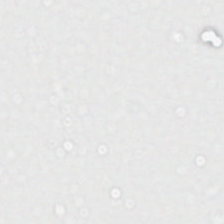Histology — empty background.
